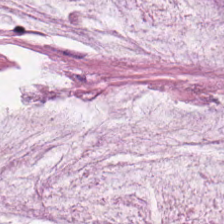224×224 pixel tile. Hematoxylin-and-eosin stained section — The tissue is extracellular mucin.
